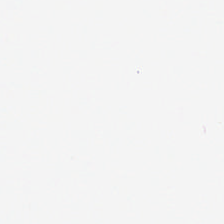H&E-stained tissue section. This field is background (no tissue).
